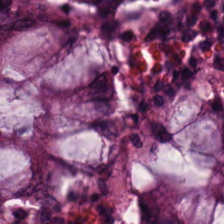H&E stain. WSI patch.
Histology — non-neoplastic colon mucosa.
